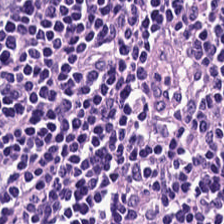Hematoxylin and eosin.
Q: What is shown in this field?
A: Lymphocyte aggregate.
